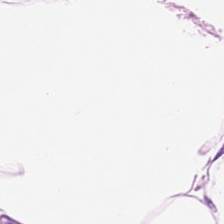Stain: H&E-stained tissue section.
Tissue class: fat tissue.
